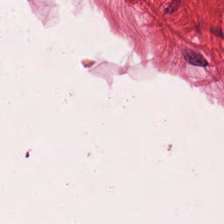H&E stain.
Tissue type = muscularis.
